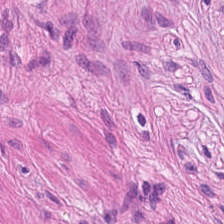H&E · FFPE · 224×224 pixel tile.
Histology — smooth-muscle tissue.
